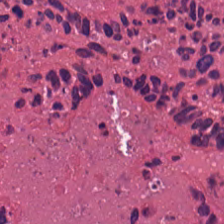FFPE · hematoxylin and eosin — Tissue type — debris.
